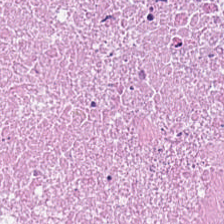Stain: hematoxylin-and-eosin stained section.
Tissue class: debris.
